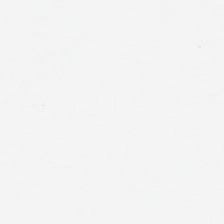Hematoxylin-and-eosin stained section. Q: What is shown in this field?
A: This is background (no tissue).
